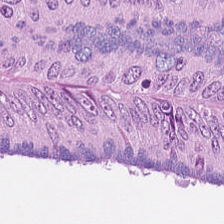H&E. Q: What tissue type is shown here?
A: It is colorectal adenocarcinoma epithelium.
